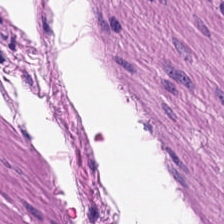H&E · formalin-fixed paraffin-embedded section · 224×224 px tile — {"tissue_type": "muscularis"}
